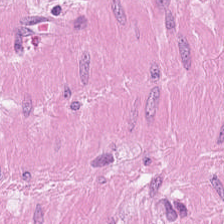Hematoxylin-and-eosin stained section. 224×224 px tile. WSI patch — Finding — smooth-muscle tissue.
